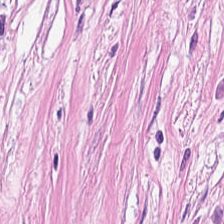H&E-stained tissue section. Whole-slide-image patch. Q: What is the predominant tissue type?
A: This is tumor-associated stroma.
